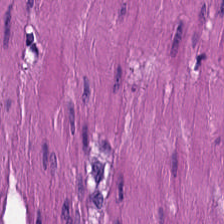Hematoxylin and eosin. This patch shows smooth muscle.
